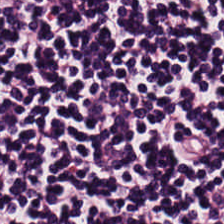H&E stain — The tissue here is lymphocytes.
